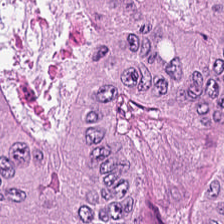Whole-slide-image patch. H&E stain — Showing tumor epithelium.
